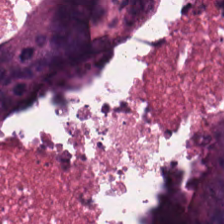Tissue = cellular debris.
